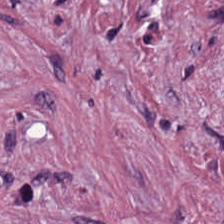Hematoxylin-and-eosin stained section · brightfield · 224×224 px tile. {"tissue_type": "tumor stroma"}
